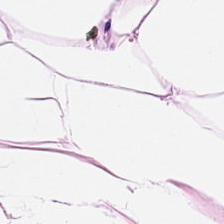H&E. The tissue class is adipose tissue.
